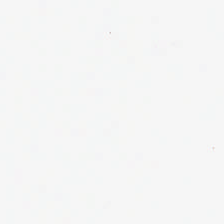Histology — no tissue.
